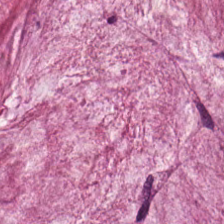Tissue = mucus.
